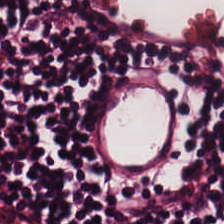H&E. Predominantly lymphoid infiltrate.
